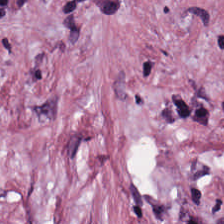Hematoxylin-and-eosin stained section — The tissue class is tumor stroma.
